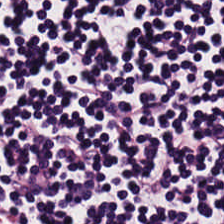H&E-stained section; the field shows lymphocytic infiltrate.
